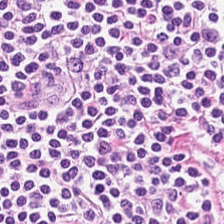The predominant tissue is lymphocytic infiltrate.
